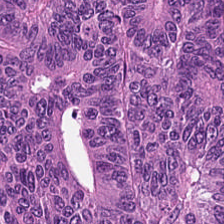224×224 px patch; 0.5 µm/px; H&E. Finding — malignant epithelium.
